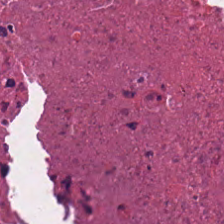Hematoxylin and eosin — Predominant tissue: debris.
